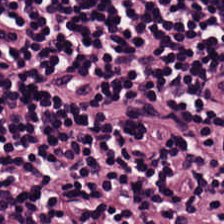H&E stain — Predominantly lymphocytic infiltrate.
